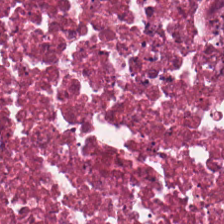The classification is necrotic debris.
